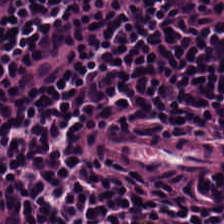224×224 px tile · hematoxylin and eosin. Predominantly lymphocytes.
